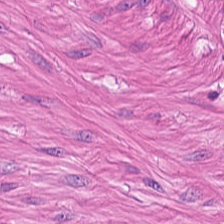H&E stain.
Predominantly smooth-muscle tissue.
